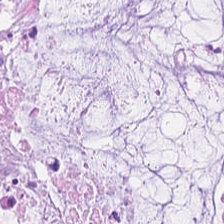Hematoxylin-and-eosin stained section.
Tissue class = extracellular mucin.
